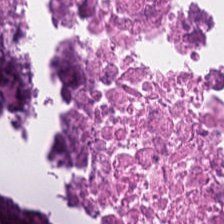Stain: hematoxylin and eosin.
Resolution: 0.5 microns per pixel.
Tissue type: debris.
